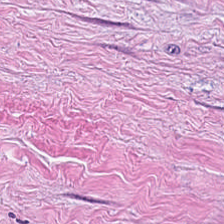Hematoxylin and eosin. WSI patch — The tissue here is tumor stroma.
